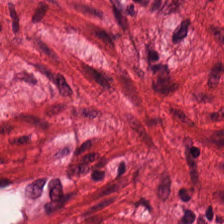FFPE; hematoxylin and eosin; 0.5 µm/px. Finding → smooth-muscle tissue.
